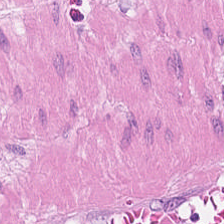0.5 microns per pixel; hematoxylin and eosin. This field is muscularis.
